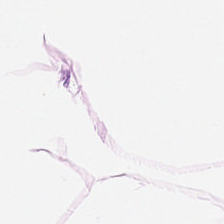Tissue type: adipose tissue.
